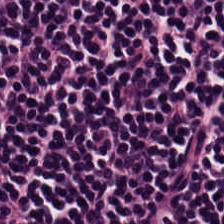0.5 µm/px; 224×224 px tile; H&E-stained tissue section. Q: What is shown in this field?
A: This is lymphocytes.
